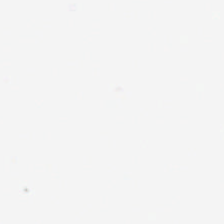H&E — Q: Classify this patch.
A: Background (no tissue).
